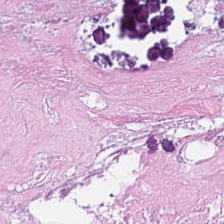0.5 µm/px. H&E stain.
Predominant tissue = cellular debris.
